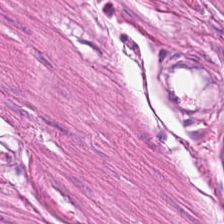H&E-stained tissue section.
Predominantly muscularis.
